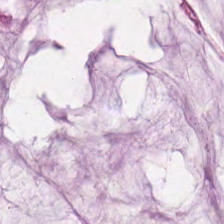Hematoxylin and eosin; 224×224 px tile — Tissue type: mucin.
